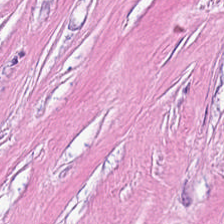Predominant tissue — tumor stroma.
